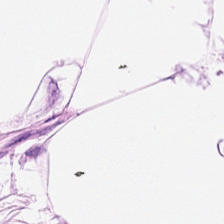Whole-slide-image patch; formalin-fixed paraffin-embedded section; hematoxylin and eosin. Q: Identify the tissue.
A: This is adipose tissue.
